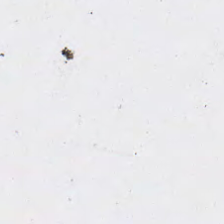Q: What does this patch show?
A: It is no tissue.
